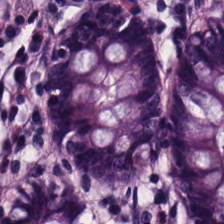Formalin-fixed paraffin-embedded section. Hematoxylin and eosin. Tissue type: non-neoplastic colon mucosa.
